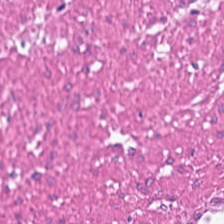H&E-stained section; the field shows muscularis.
